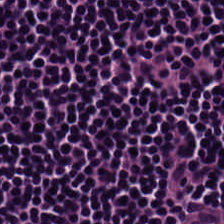Brightfield microscopy. H&E-stained tissue section.
Q: What is the predominant tissue type?
A: This is lymphocyte aggregate.
